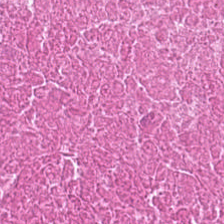0.5 µm per pixel; H&E — This patch shows cellular debris.
